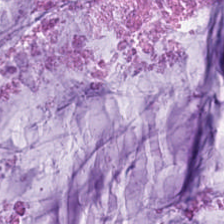224×224 px tile. 0.5 µm/px. Hematoxylin and eosin. Classification: mucus.
